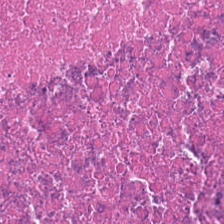Tissue = debris.
